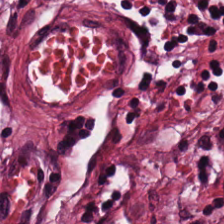Classification = desmoplastic stroma.
